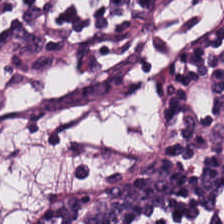Lymphocytes.
